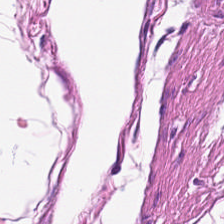H&E-stained tissue section — Tissue type — muscularis.
